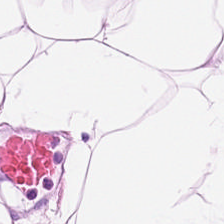Hematoxylin-and-eosin stained section — Tissue class: adipose tissue.
